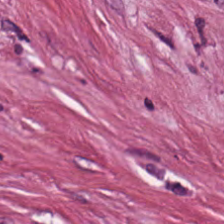H&E-stained tissue section. This field is desmoplastic stroma.
